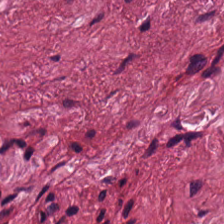Hematoxylin and eosin · 0.5 µm/px.
{"tissue_type": "tumor stroma"}
